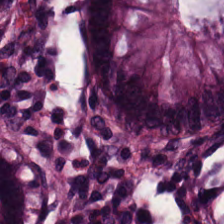H&E patch showing non-neoplastic colon mucosa.
